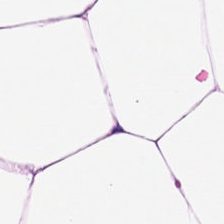H&E-stained tissue section; 20× equivalent magnification. Showing adipose tissue.
